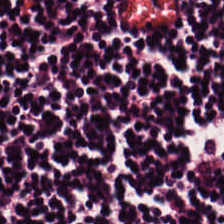{"tissue_type": "lymphocytic infiltrate"}
